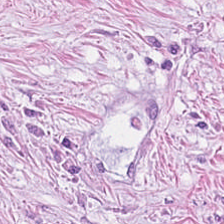224×224 px patch · H&E stain. The tissue is desmoplastic stroma.
